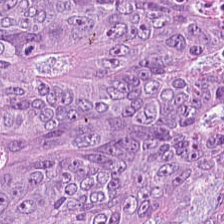Finding → tumor epithelium.
